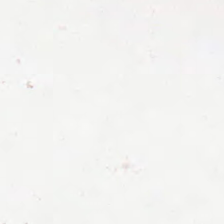This patch shows no tissue.
